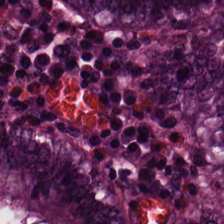H&E-stained tissue section; 224×224 px patch. Histology → normal colon mucosa.
